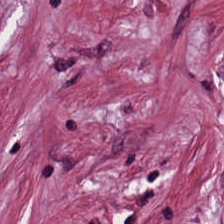224×224 px patch · H&E-stained tissue section · 20× equivalent magnification. This patch shows tumor-associated stroma.
